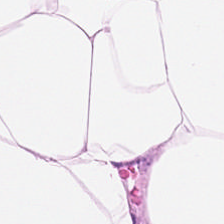H&E.
This field is fat tissue.
